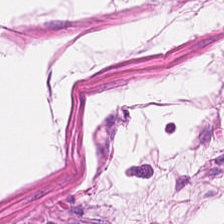Whole-slide-image patch. Hematoxylin and eosin. Q: Classify this patch.
A: The field shows smooth muscle.
